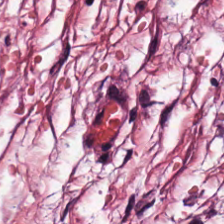Tissue: desmoplastic stroma.
